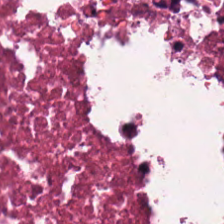Finding — necrotic debris.
